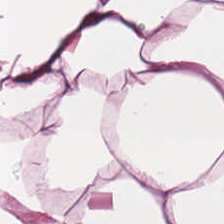224×224 pixel tile · H&E-stained tissue section.
Predominant tissue — fat tissue.
